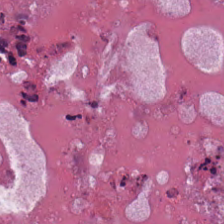224×224 pixel tile · H&E-stained tissue section. Tissue type — debris.
